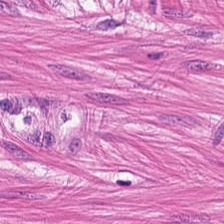Hematoxylin and eosin.
Histology — muscularis.
